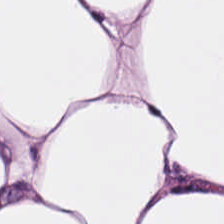Adipose.
